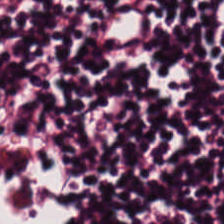H&E stain.
Showing lymphocytic infiltrate.
